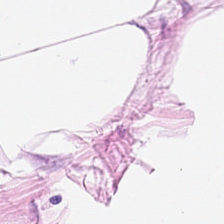The classification is adipose.
